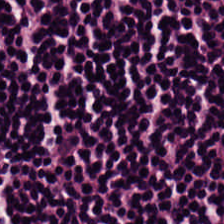Impression — lymphocytic infiltrate.
